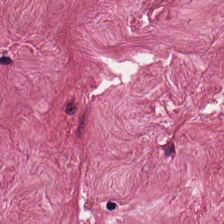Stain: hematoxylin and eosin.
Tissue class: desmoplastic stroma.
